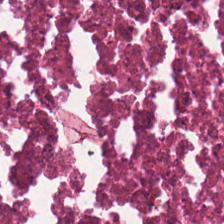Q: What is shown in this field?
A: Cellular debris.
